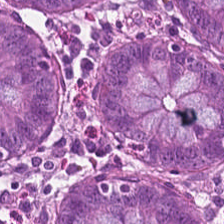H&E — Tissue — benign colonic mucosa.
